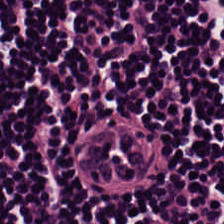H&E.
Tissue — lymphocytic infiltrate.
